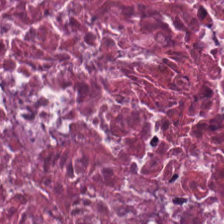H&E; 20× equivalent magnification.
Tissue class = debris.
